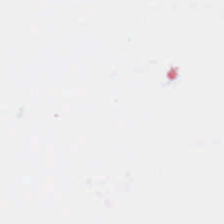Hematoxylin and eosin — Content: background.
